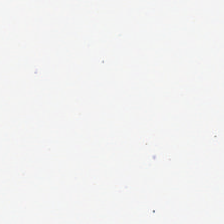Formalin-fixed paraffin-embedded section. H&E. Brightfield microscopy.
Field content — empty background.
